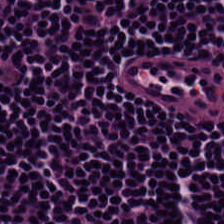224×224 px tile · hematoxylin and eosin. Predominantly lymphoid infiltrate.
